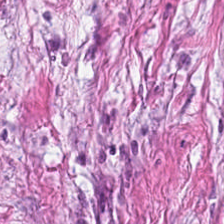Stain: hematoxylin and eosin.
Tissue: tumor stroma.
